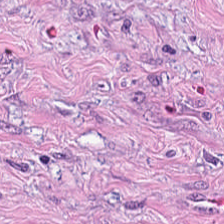H&E-stained tissue section — Cancer-associated stroma.
